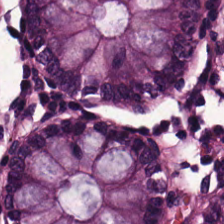Hematoxylin and eosin · FFPE — Impression — normal colonic mucosa.
